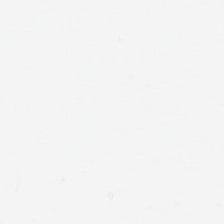H&E stain — Field content: background (no tissue).
